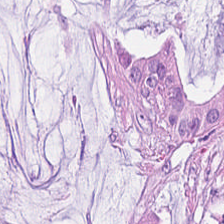Hematoxylin and eosin · WSI patch · 0.5 µm per pixel. Q: What tissue type is shown here?
A: The field shows mucin.
